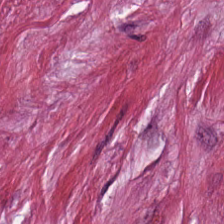0.5 µm per pixel; hematoxylin and eosin. This patch shows tumor-associated stroma.
